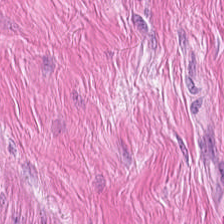H&E. Showing smooth-muscle tissue.
